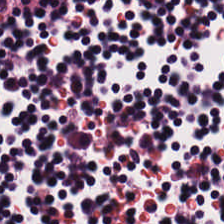FFPE · hematoxylin and eosin.
This field is lymphocytes.
